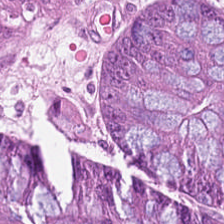Q: What is shown in this field?
A: The field shows colorectal adenocarcinoma.
